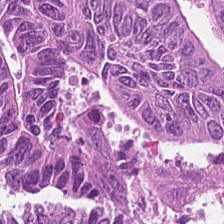The predominant tissue is adenocarcinoma.
